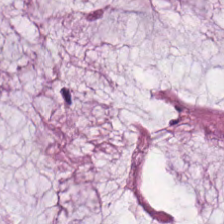H&E — Q: What does this patch show?
A: The field shows extracellular mucin.
